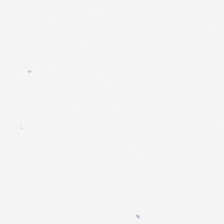Histology → empty background.
